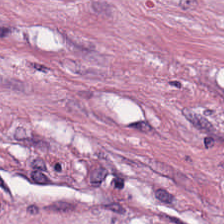H&E — cancer-associated stroma.
